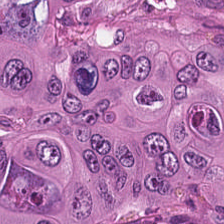WSI patch · hematoxylin-and-eosin stained section · 20× equivalent magnification — This patch shows malignant epithelium.
